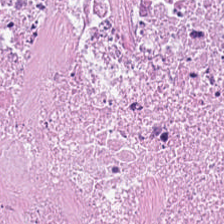Hematoxylin and eosin. WSI patch. Necrotic debris.
